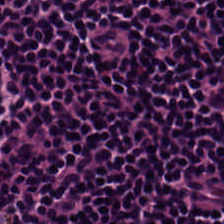224×224 px tile. H&E-stained tissue section — Tissue class — lymphoid infiltrate.
